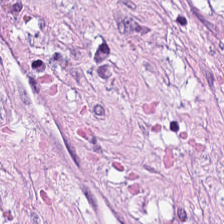Formalin-fixed paraffin-embedded section; hematoxylin-and-eosin stained section — The tissue is cancer-associated stroma.
